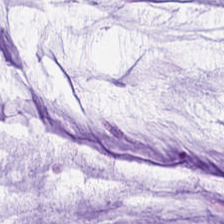Hematoxylin and eosin — Q: What is shown here?
A: It is mucin.
